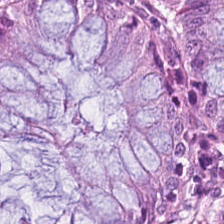224×224 px patch · H&E. Tissue type: non-neoplastic colon mucosa.
